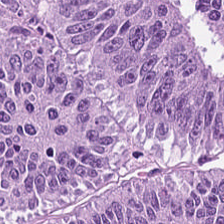H&E-stained tissue section — This field is colorectal adenocarcinoma.
